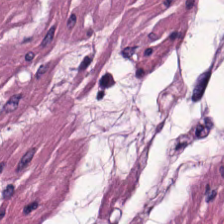Predominantly smooth-muscle tissue.
